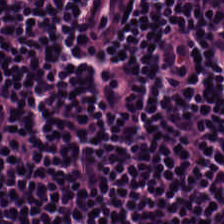0.5 microns per pixel; formalin-fixed paraffin-embedded section; H&E stain.
Tissue type: lymphoid infiltrate.
